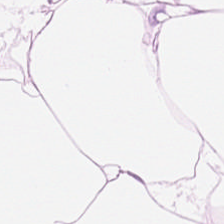H&E.
This field is adipose.
